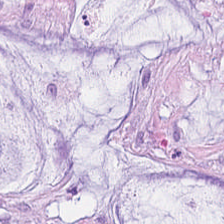{"tissue_type": "mucus"}
